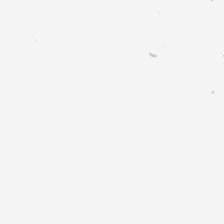Formalin-fixed paraffin-embedded section; H&E-stained tissue section; 224×224 pixel tile.
Content = no tissue.
